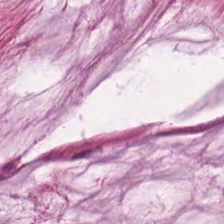H&E-stained tissue section — Q: What tissue is shown?
A: It is mucin.
